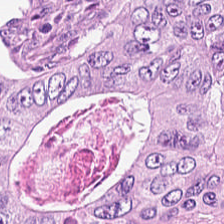224×224 pixel tile; hematoxylin-and-eosin stained section; FFPE tissue section — Tissue type = malignant epithelium.
